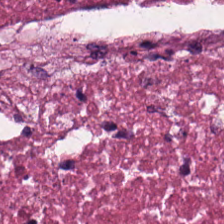Stain: H&E-stained tissue section.
Tile size: 224×224 pixel tile.
Tissue class: necrotic debris.
